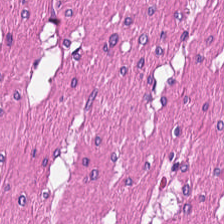Stain: H&E.
Tissue type: smooth-muscle tissue.
